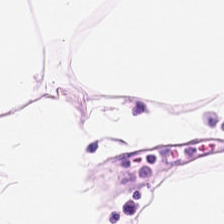Hematoxylin-and-eosin stained section · FFPE tissue section · whole-slide-image patch. Q: What does this patch show?
A: It is adipose tissue.
